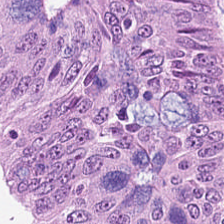H&E stain — Showing colorectal adenocarcinoma epithelium.
